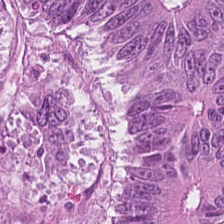Stain: H&E.
Predominant tissue: colorectal adenocarcinoma.
